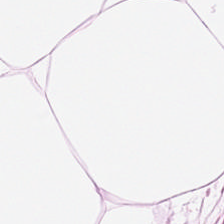Hematoxylin-and-eosin stained section.
{"tissue_type": "adipose"}
